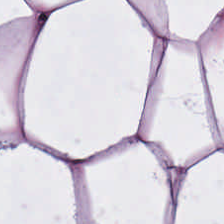Brightfield microscopy · H&E. Tissue = fat tissue.
